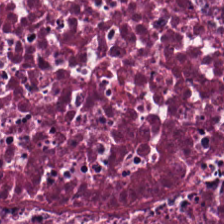Hematoxylin and eosin — Classification — cellular debris.
